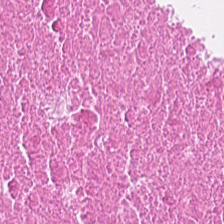20× equivalent magnification. Brightfield microscopy. H&E-stained tissue section — Q: What tissue is shown?
A: Debris.
